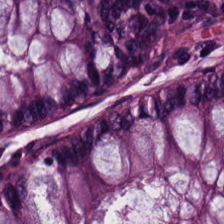H&E-stained tissue section; WSI patch; formalin-fixed paraffin-embedded section. Histology — normal colon mucosa.
